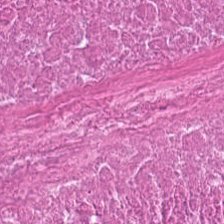Stain: hematoxylin and eosin.
Tile size: 224×224 px tile.
Acquisition: brightfield microscopy.
Tissue class: cellular debris.
